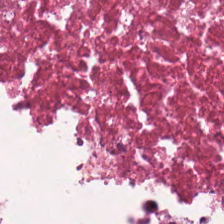Stain: hematoxylin and eosin.
Tissue class: debris.
